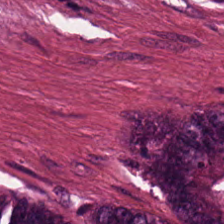Formalin-fixed paraffin-embedded section · H&E-stained tissue section. The tissue class is malignant epithelium.
